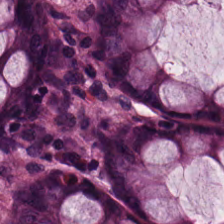H&E. 224×224 pixel tile — Predominant tissue: normal colon mucosa.
